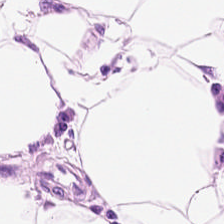Whole-slide-image patch; 0.5 microns per pixel; H&E-stained tissue section — Showing adipose tissue.
